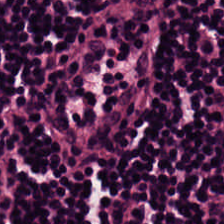Hematoxylin-and-eosin stained section.
Impression — lymphoid infiltrate.
